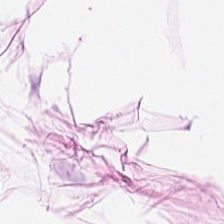Hematoxylin and eosin · WSI patch · formalin-fixed paraffin-embedded section.
This field is adipocytes.
